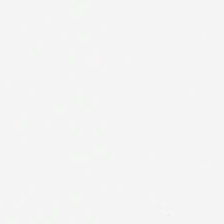Brightfield microscopy. H&E-stained tissue section. Field content = empty background.
